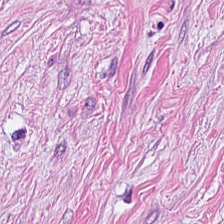Whole-slide-image patch; hematoxylin-and-eosin stained section. Finding → tumor-associated stroma.
